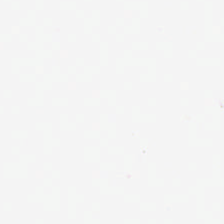Stain: H&E.
Field content: empty background.
